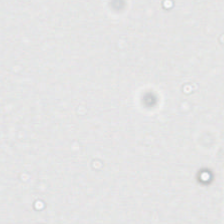Field content — background (no tissue).
